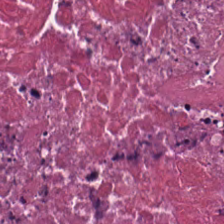Whole-slide-image patch. H&E — Predominant tissue: necrotic debris.
